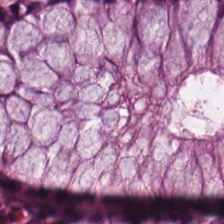Q: What tissue type is shown here?
A: It is benign colonic mucosa.
